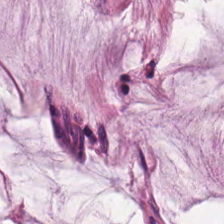H&E.
Q: What tissue is shown?
A: It is extracellular mucin.
